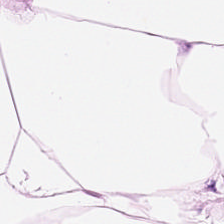The tissue here is adipose.
